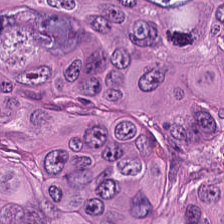Hematoxylin-and-eosin stained section · FFPE tissue section. This patch shows adenocarcinoma.
